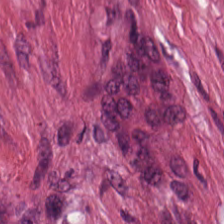Brightfield microscopy. 0.5 µm per pixel. H&E stain — The tissue here is desmoplastic stroma.
